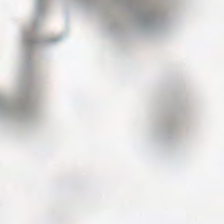H&E-stained tissue section · 224×224 pixel tile.
Q: Classify this patch.
A: This is background (no tissue).
